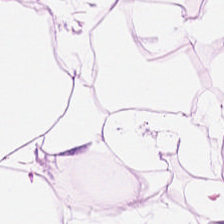H&E-stained tissue section.
The tissue class is adipose.
